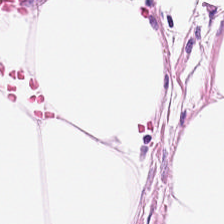The tissue type is adipose tissue.
